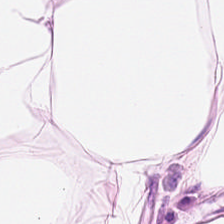Hematoxylin and eosin — {"tissue_type": "fat tissue"}
